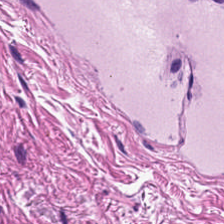H&E-stained tissue section.
Histology — smooth muscle.
